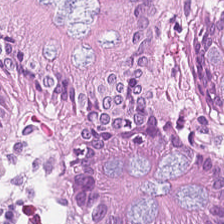Hematoxylin and eosin.
{"tissue_type": "normal colonic mucosa"}
